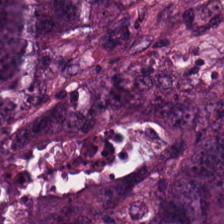H&E stain. Q: What tissue type is shown here?
A: It is colorectal adenocarcinoma.
